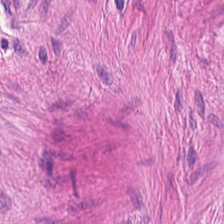Hematoxylin-and-eosin stained section; 20× equivalent magnification.
The tissue class is smooth muscle.
